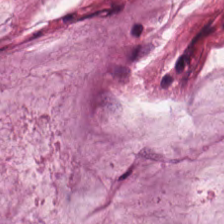Hematoxylin-and-eosin stained section. The tissue here is extracellular mucin.
